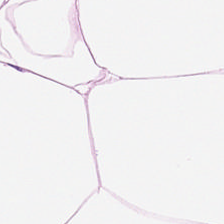H&E stain. This field is adipose.
